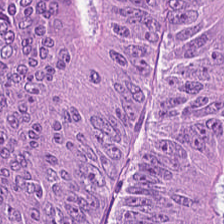FFPE. Brightfield. H&E — The predominant tissue is colorectal adenocarcinoma.
